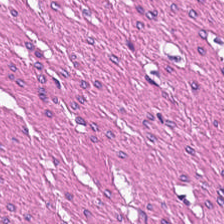H&E-stained tissue section showing muscularis.
